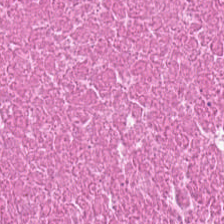H&E. Predominant tissue = necrotic debris.
